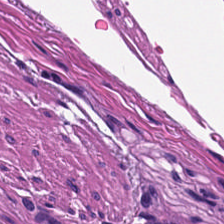Formalin-fixed paraffin-embedded section; H&E-stained tissue section.
Q: What tissue type is shown here?
A: Muscularis.
